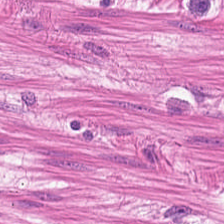Stain: H&E stain.
Tissue class: smooth-muscle tissue.
